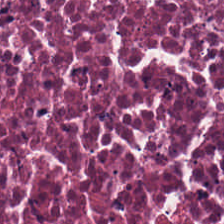Formalin-fixed paraffin-embedded section · H&E stain — Predominant tissue: debris.
